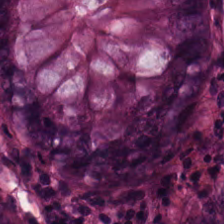Hematoxylin and eosin. WSI patch.
Q: What type of tissue is this?
A: The field shows normal colonic mucosa.
